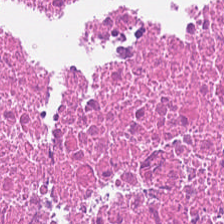H&E stain.
Tissue — debris.
